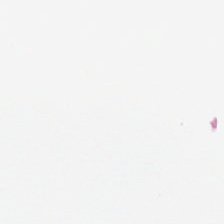H&E stain; FFPE tissue section.
Impression — no tissue.
